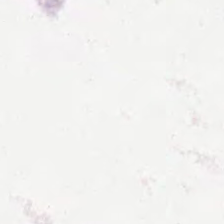Brightfield; 224×224 px tile; hematoxylin and eosin. Histology — background (no tissue).
